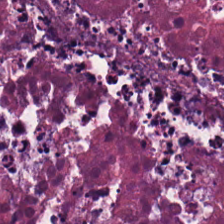H&E-stained tissue section · 0.5 microns per pixel · FFPE. Classification = cellular debris.
